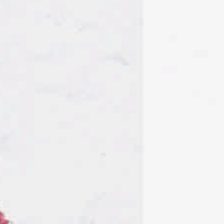Hematoxylin-and-eosin stained section.
This patch shows empty background.
